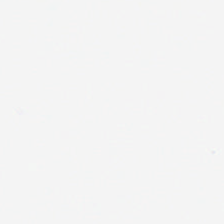Hematoxylin and eosin. This patch shows no tissue.
